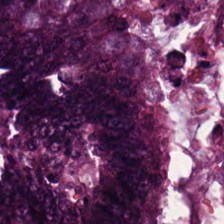H&E. This field is malignant epithelium.
